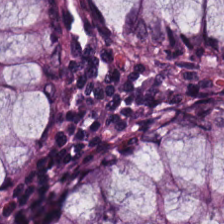Stain: H&E.
Acquisition: whole-slide-image patch.
Predominant tissue: non-neoplastic colon mucosa.
